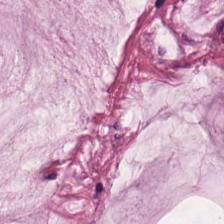H&E-stained section; the field shows mucus.
